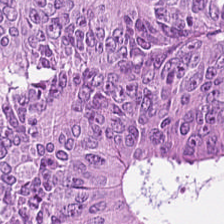Q: What type of tissue is this?
A: It is colorectal adenocarcinoma epithelium.
